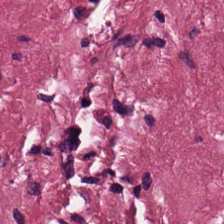224×224 px patch · H&E — The predominant tissue is cancer-associated stroma.
